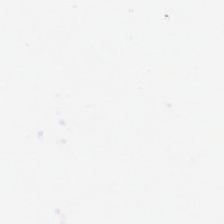H&E-stained tissue section.
Finding — empty background.
